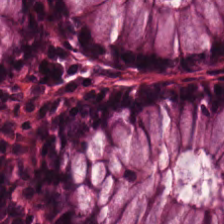Stain: hematoxylin-and-eosin stained section.
Preparation: FFPE tissue section.
Predominant tissue: non-neoplastic colon mucosa.
